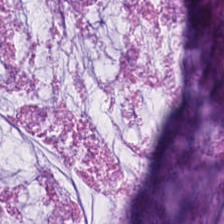Hematoxylin and eosin; 224×224 px patch — Showing mucus.
